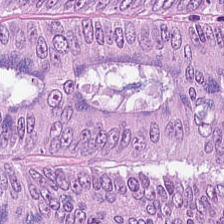H&E. The predominant tissue is tumor epithelium.
